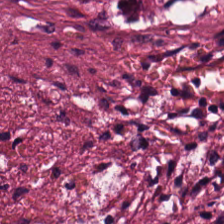This field is cancer-associated stroma.
